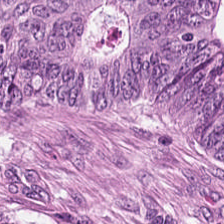Hematoxylin and eosin. Tissue: colorectal adenocarcinoma epithelium.
